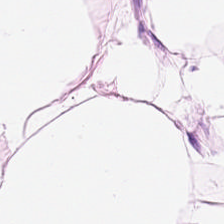H&E. This field is adipocytes.
